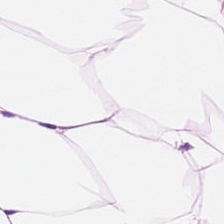H&E-stained tissue section; 0.5 microns per pixel; FFPE.
{"tissue_type": "fat tissue"}
